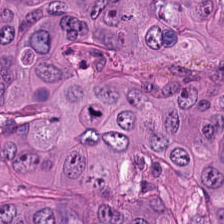H&E-stained tissue section.
The tissue class is malignant epithelium.
